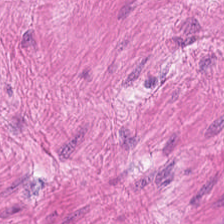Hematoxylin-and-eosin stained section. {"tissue_type": "muscularis"}
